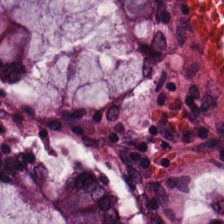H&E stain. Impression → benign colonic mucosa.
